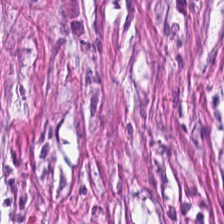Whole-slide-image patch; hematoxylin-and-eosin stained section. The predominant tissue is tumor-associated stroma.
